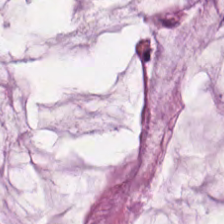H&E — The tissue here is extracellular mucin.
